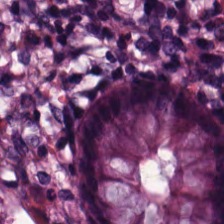This patch shows benign colonic mucosa.
